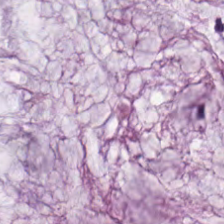Histology → extracellular mucin.
